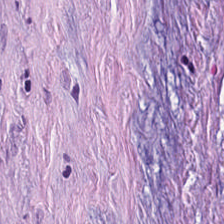Hematoxylin and eosin — The tissue here is cancer-associated stroma.
